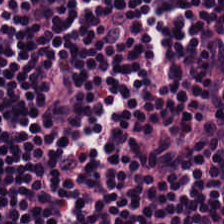H&E. Showing lymphocyte aggregate.
